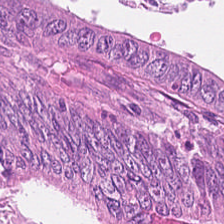Impression → colorectal adenocarcinoma.
